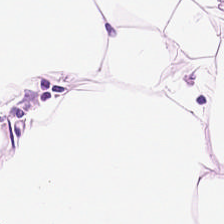H&E-stained tissue section; formalin-fixed paraffin-embedded section.
Q: What is shown here?
A: The field shows adipocytes.
